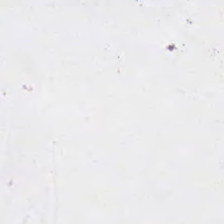Hematoxylin and eosin. Content: empty background.
